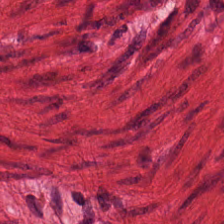Hematoxylin-and-eosin stained section. Q: What is the predominant tissue type?
A: It is smooth muscle.
